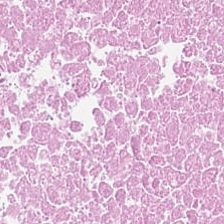H&E stain. Necrotic debris.
